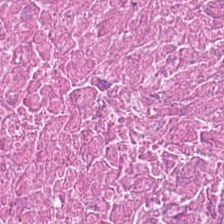H&E stain. The tissue here is cellular debris.
